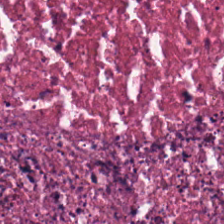Hematoxylin-and-eosin stained section · 0.5 microns per pixel.
This patch shows necrotic debris.
